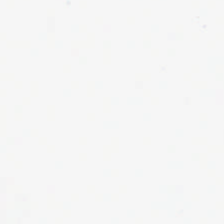This field is background (no tissue).
